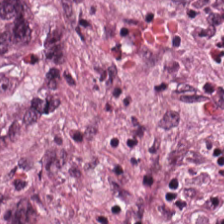Finding — colorectal adenocarcinoma.
